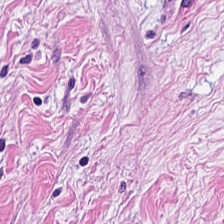Hematoxylin-and-eosin stained section — Impression → tumor stroma.
